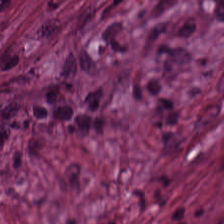Q: What tissue type is shown here?
A: This is tumor-associated stroma.
